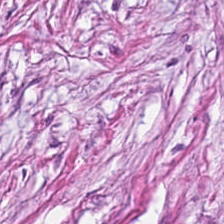H&E-stained tissue section — Tissue type: tumor-associated stroma.
